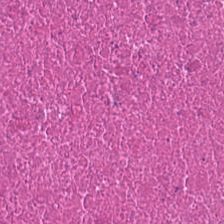H&E-stained section; the field shows debris.
